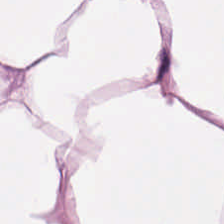Hematoxylin and eosin. Tissue type — adipose tissue.
